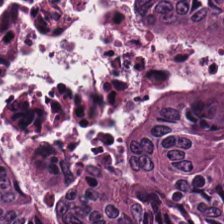Hematoxylin and eosin — Predominant tissue — tumor epithelium.
